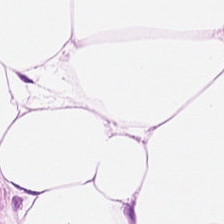WSI patch. Hematoxylin-and-eosin stained section.
The tissue type is adipocytes.
